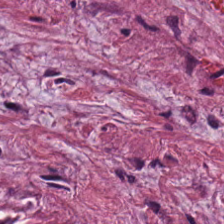H&E · 0.5 µm per pixel.
This patch shows tumor-associated stroma.
